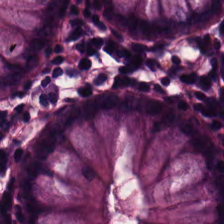224×224 px tile; H&E; FFPE. Predominant tissue: normal colonic mucosa.
